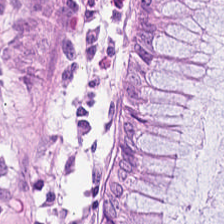224×224 px patch. Brightfield. Hematoxylin and eosin. Tissue type: normal colon mucosa.
